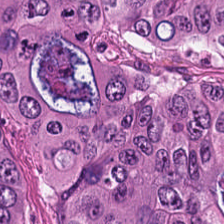WSI patch. Hematoxylin and eosin.
Histology → colorectal adenocarcinoma.
